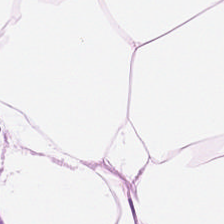Finding — adipose tissue.
